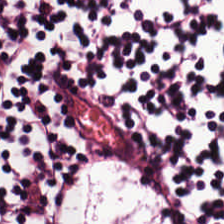FFPE tissue section. WSI patch. Hematoxylin-and-eosin stained section — Q: What is shown here?
A: This is lymphocytes.
